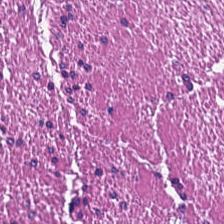Formalin-fixed paraffin-embedded section. H&E-stained tissue section — Q: Classify this patch.
A: It is muscularis.
